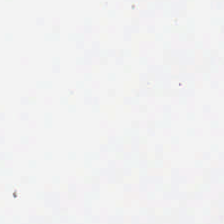H&E-stained tissue section · brightfield microscopy — Classification — empty background.
